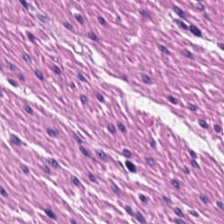Brightfield microscopy; hematoxylin-and-eosin stained section.
Predominant tissue = muscularis.
